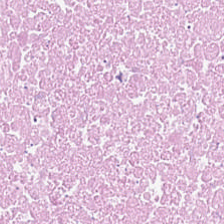The predominant tissue is necrotic debris.
